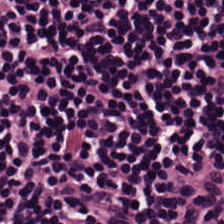H&E-stained tissue section.
Classification = lymphocytic infiltrate.
